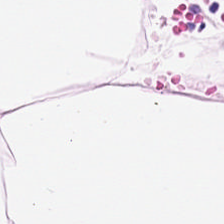FFPE. 224×224 px patch. H&E.
The classification is adipose.
